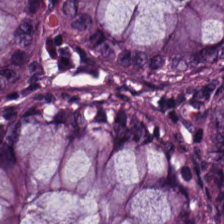H&E-stained tissue section — This field is normal colon mucosa.
